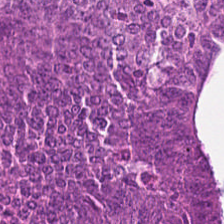Whole-slide-image patch · hematoxylin-and-eosin stained section · 0.5 microns per pixel — The classification is tumor epithelium.
